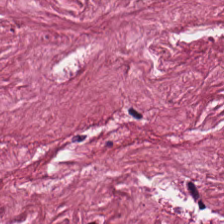Hematoxylin and eosin.
The predominant tissue is tumor stroma.
